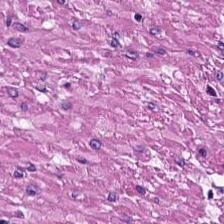Showing smooth-muscle tissue.
